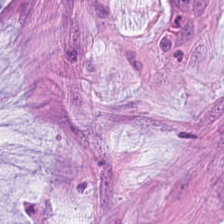Hematoxylin and eosin. Classification — mucus.
